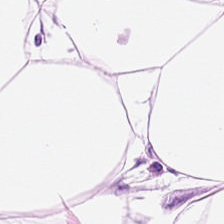0.5 µm per pixel · hematoxylin-and-eosin stained section.
This field is fat tissue.
